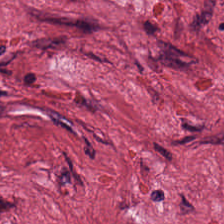H&E. The predominant tissue is cancer-associated stroma.
